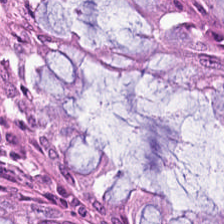H&E stain.
The predominant tissue is normal colon mucosa.
